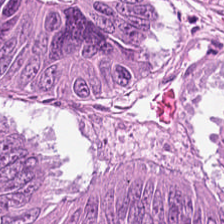Formalin-fixed paraffin-embedded section; hematoxylin-and-eosin stained section; 0.5 µm/px — Q: What tissue type is shown here?
A: This is malignant epithelium.
